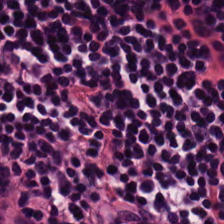Brightfield; formalin-fixed paraffin-embedded section; H&E-stained tissue section.
Predominantly lymphocyte aggregate.
